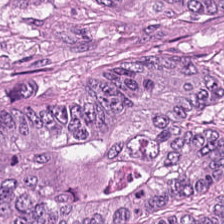FFPE; hematoxylin-and-eosin stained section; 224×224 px tile.
Q: What type of tissue is this?
A: Tumor epithelium.
